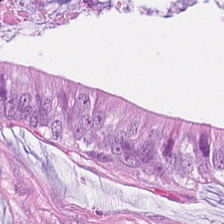The tissue is malignant epithelium.
